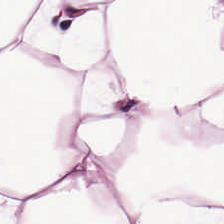H&E stain. 0.5 µm per pixel.
This patch shows adipocytes.
